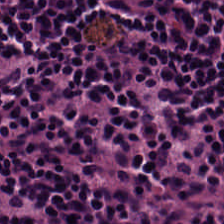H&E-stained tissue section showing lymphoid infiltrate.
